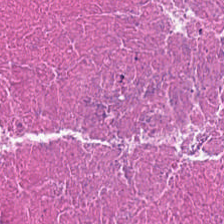Hematoxylin-and-eosin stained section — Finding → debris.
